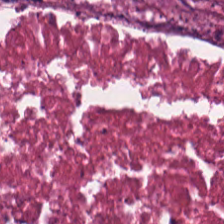H&E-stained tissue section — Q: Identify the tissue.
A: The field shows necrotic debris.
